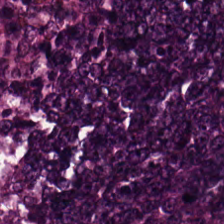H&E-stained tissue section showing tumor epithelium.
